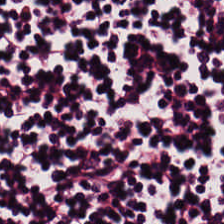H&E-stained tissue section.
Showing lymphocytes.
